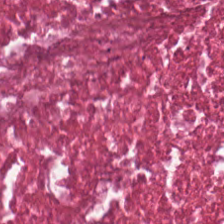0.5 µm/px · H&E-stained tissue section. Debris.
